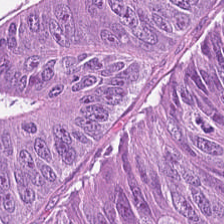Colorectal adenocarcinoma.
